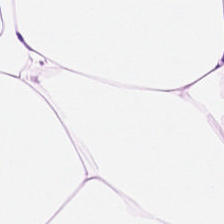Hematoxylin-and-eosin stained section. Predominantly adipose tissue.
